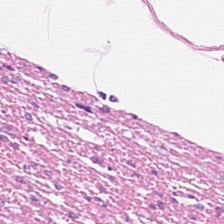Hematoxylin and eosin. 224×224 px tile. Formalin-fixed paraffin-embedded section — {"tissue_type": "muscularis"}
